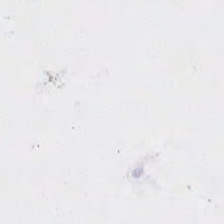This patch shows no tissue.
